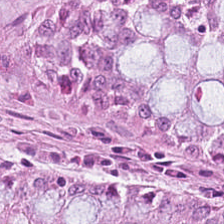H&E-stained tissue section — Predominantly non-neoplastic colon mucosa.
